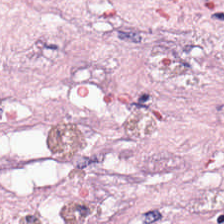H&E-stained tissue section; 0.5 µm per pixel; 224×224 px patch. Histology — desmoplastic stroma.
